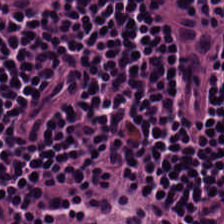Hematoxylin and eosin. Q: What is the predominant tissue type?
A: This is lymphocytic infiltrate.
